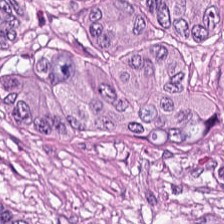H&E-stained section; the field shows malignant epithelium.
